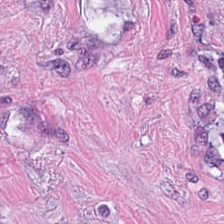H&E-stained tissue section. The predominant tissue is cancer-associated stroma.
